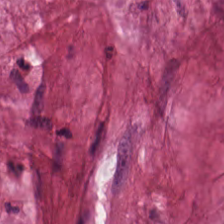H&E-stained tissue section. FFPE tissue section — The predominant tissue is extracellular mucin.
